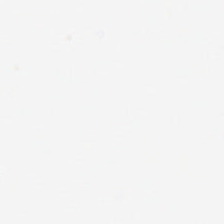H&E. Field content: background (no tissue).
